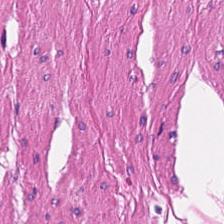H&E. 0.5 microns per pixel. Tissue: smooth-muscle tissue.
